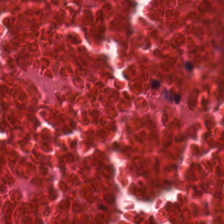224×224 px tile; FFPE; H&E stain.
Necrotic debris.
